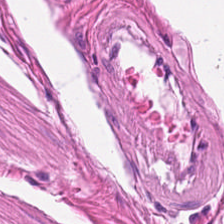Q: What type of tissue is this?
A: Smooth-muscle tissue.
